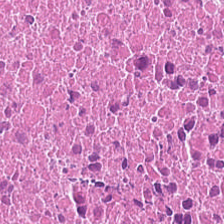Q: What tissue is shown?
A: It is debris.
